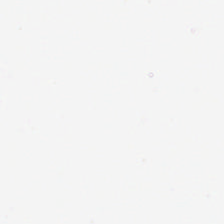The classification is empty background.
